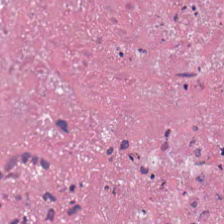Tissue type = cellular debris.
